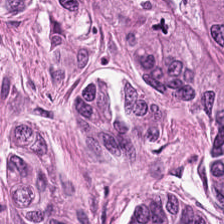224×224 px patch; H&E-stained tissue section.
Q: What tissue type is shown here?
A: The field shows colorectal adenocarcinoma epithelium.
